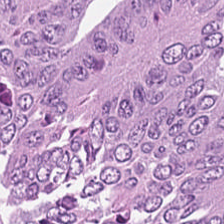{"tissue_type": "colorectal adenocarcinoma epithelium"}
